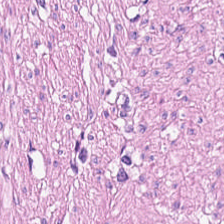Hematoxylin-and-eosin stained section.
Classification — muscularis.
